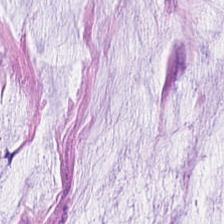Predominant tissue = mucus.
